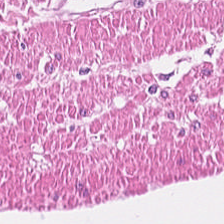H&E patch showing smooth muscle.
